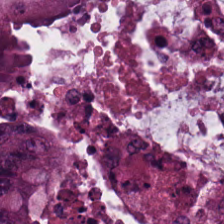20× equivalent magnification. H&E-stained tissue section. Malignant epithelium.
